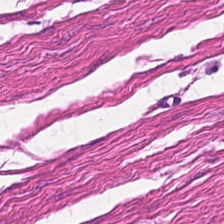Q: What does this patch show?
A: Smooth-muscle tissue.
